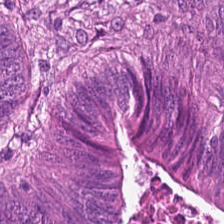0.5 microns per pixel · hematoxylin and eosin. The tissue is tumor epithelium.
